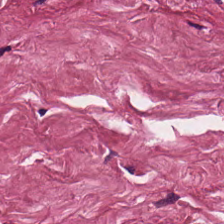FFPE tissue section. H&E.
Q: What is shown here?
A: The field shows tumor stroma.
